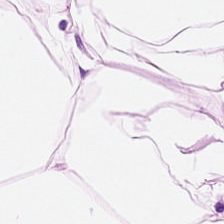Q: What is the predominant tissue type?
A: Adipose.
